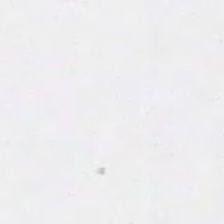0.5 µm/px · hematoxylin and eosin.
Background — no tissue in this field.
